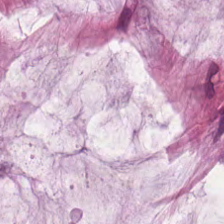FFPE tissue section; brightfield; H&E-stained tissue section — Impression → mucin.
